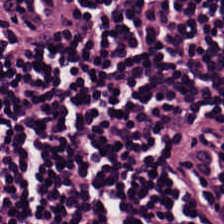H&E-stained tissue section.
{"tissue_type": "lymphoid infiltrate"}
